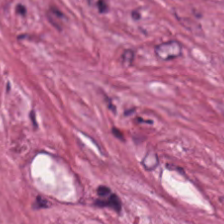H&E. Predominant tissue = tumor stroma.
